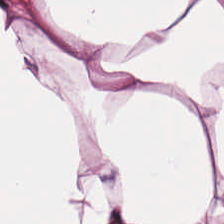H&E stain. This patch shows fat tissue.
